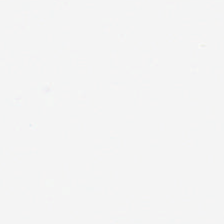0.5 microns per pixel; H&E stain.
Field content — background (no tissue).
